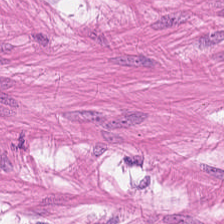Classification — smooth-muscle tissue.
